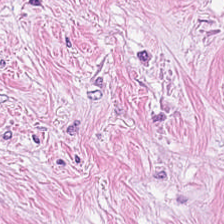H&E-stained tissue section. 0.5 µm/px — Tissue class: tumor-associated stroma.
